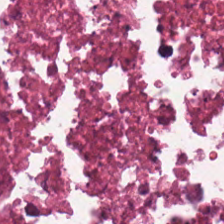H&E stain · WSI patch · FFPE.
Classification — debris.
